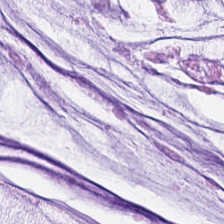H&E-stained tissue section.
Tissue class = mucin.
